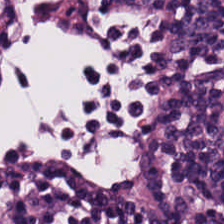Formalin-fixed paraffin-embedded section · brightfield · hematoxylin and eosin — The tissue type is lymphocytic infiltrate.
